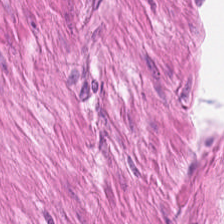{"tissue_type": "smooth-muscle tissue"}
